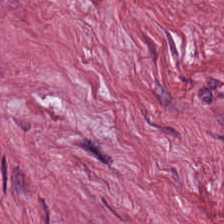Stain: H&E.
Tissue class: cancer-associated stroma.
